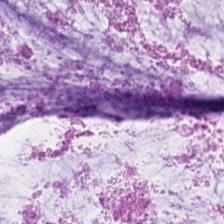Mucus.
